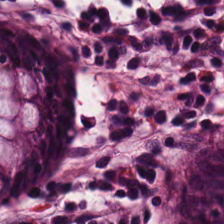224×224 px tile. H&E-stained tissue section.
The predominant tissue is benign colonic mucosa.
